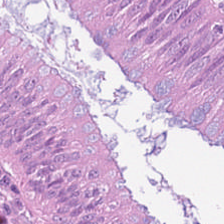Stain: H&E stain.
Resolution: 0.5 µm per pixel.
Acquisition: brightfield.
Tissue: colorectal adenocarcinoma epithelium.
